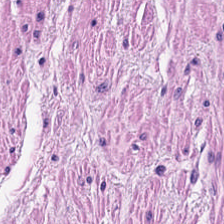Hematoxylin and eosin — This patch shows smooth-muscle tissue.
